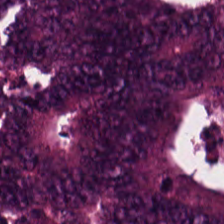H&E — This field is adenocarcinoma.
